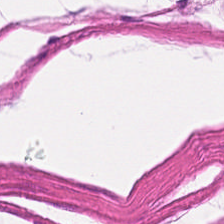Hematoxylin and eosin. Finding → muscularis.
